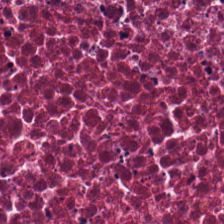Tissue: necrotic debris.
